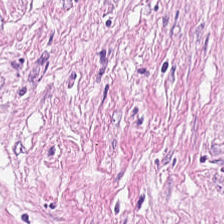{"tissue_type": "tumor stroma"}
